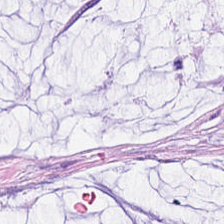Stain: H&E stain.
Preparation: FFPE.
Acquisition: brightfield microscopy.
Tissue: mucin.
